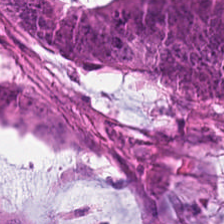Stain: hematoxylin-and-eosin stained section.
Tissue type: adenocarcinoma.
